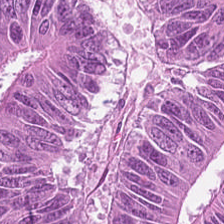0.5 µm/px · 224×224 px patch · H&E-stained tissue section — Impression → tumor epithelium.
